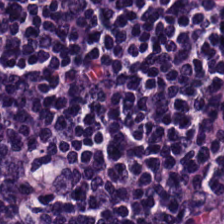Hematoxylin and eosin. 224×224 px patch. Classification — lymphocytic infiltrate.
